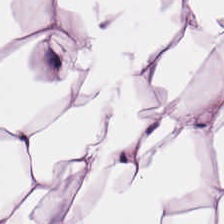Brightfield · H&E.
Q: What is shown here?
A: The field shows adipose.
